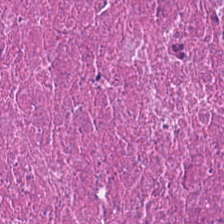224×224 px tile · H&E-stained tissue section — Tissue type — debris.
